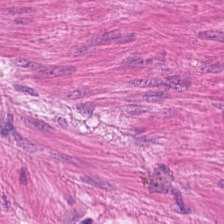FFPE · H&E stain. Q: What tissue type is shown here?
A: It is smooth muscle.
